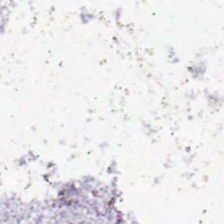This patch shows no tissue.
